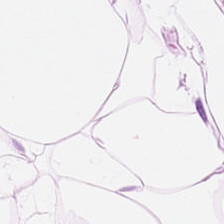224×224 pixel tile; hematoxylin-and-eosin stained section; whole-slide-image patch.
Classification: adipose.
